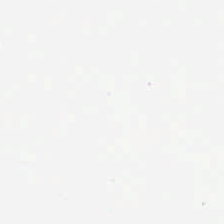Stain: hematoxylin-and-eosin stained section.
Content: background.
